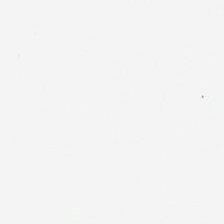H&E-stained tissue section — Q: What is shown here?
A: It is empty background.
